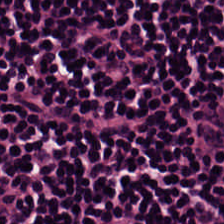Hematoxylin and eosin. FFPE — Predominantly lymphoid infiltrate.
